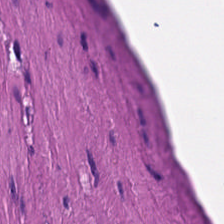FFPE · H&E-stained tissue section · 224×224 px patch — Q: What tissue type is shown here?
A: The field shows muscularis.
